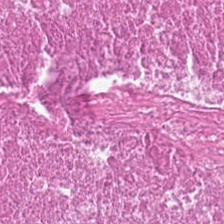H&E — Tissue class: necrotic debris.
